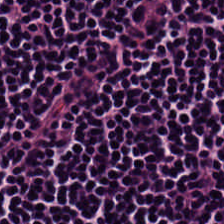H&E; brightfield microscopy; FFPE — This field is lymphoid infiltrate.
